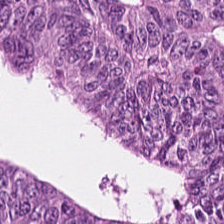H&E stain.
The predominant tissue is adenocarcinoma.
